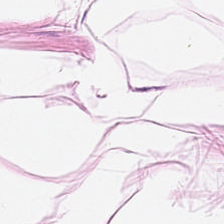20× equivalent magnification; H&E. Tissue class = adipose.
